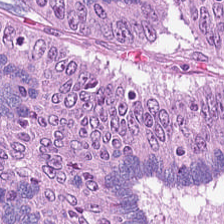H&E. Predominantly tumor epithelium.
